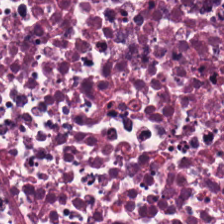{"tissue_type": "cellular debris"}
